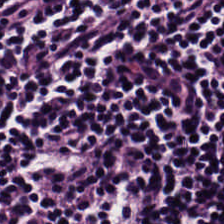H&E stain.
Finding — lymphocyte aggregate.
